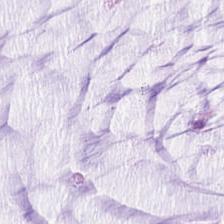H&E stain; FFPE — This patch shows extracellular mucin.
